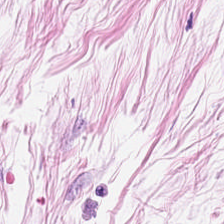Hematoxylin and eosin; FFPE. Predominant tissue: adipocytes.
